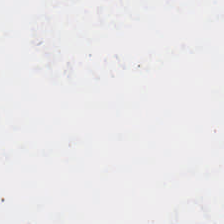0.5 µm per pixel. FFPE tissue section. Hematoxylin and eosin. Empty field — empty background.
